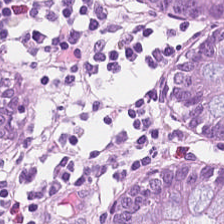Hematoxylin and eosin.
The predominant tissue is normal colonic mucosa.
